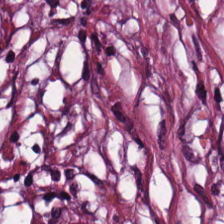H&E patch showing tumor stroma.
